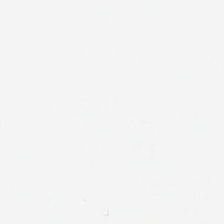Hematoxylin-and-eosin stained section — No tissue present; background only.
